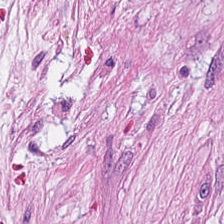0.5 µm per pixel; hematoxylin-and-eosin stained section; brightfield — Q: Classify this patch.
A: The field shows tumor-associated stroma.
